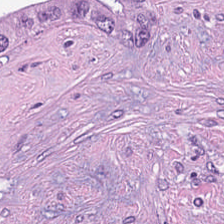Stain: H&E stain.
Tissue class: cellular debris.
